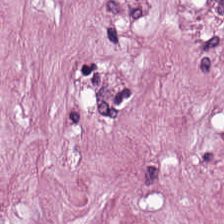H&E; 224×224 pixel tile.
{"tissue_type": "tumor-associated stroma"}
